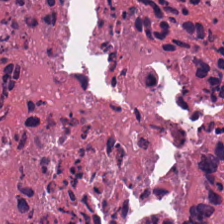Q: What is shown in this field?
A: Cellular debris.
